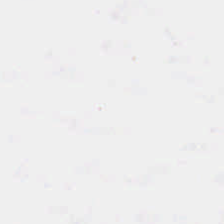H&E — No tissue present; background only.
